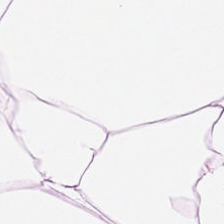Hematoxylin-and-eosin stained section. Predominantly adipocytes.
